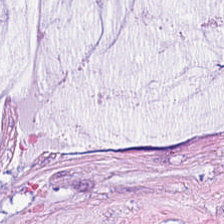H&E. Q: Identify the tissue.
A: This is mucin.
